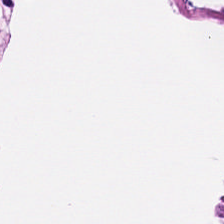H&E-stained tissue section. 0.5 microns per pixel. Whole-slide-image patch. The predominant tissue is smooth muscle.
